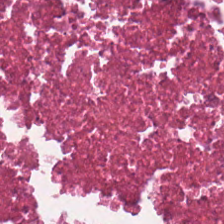Predominant tissue — cellular debris.
